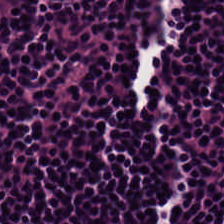WSI patch. 20× equivalent magnification. H&E-stained tissue section — Q: What is shown here?
A: The field shows lymphoid infiltrate.
